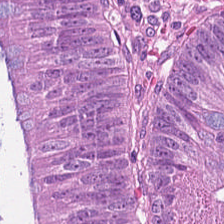H&E. Impression — adenocarcinoma.
